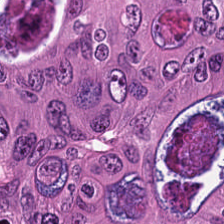H&E stain.
The tissue here is colorectal adenocarcinoma.
